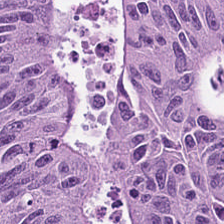Hematoxylin-and-eosin stained section; 0.5 µm/px.
The classification is colorectal adenocarcinoma epithelium.
